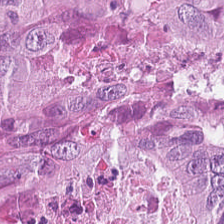Hematoxylin-and-eosin stained section. 0.5 µm/px. Q: Classify this patch.
A: Adenocarcinoma.
